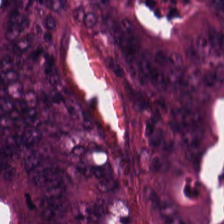Stain: hematoxylin and eosin.
Acquisition: whole-slide-image patch.
Tissue type: tumor epithelium.
